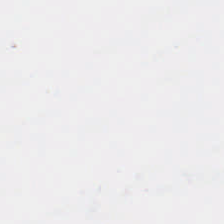Stain: H&E.
Preparation: formalin-fixed paraffin-embedded section.
Field content: no tissue.
